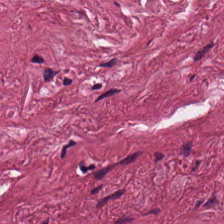WSI patch; H&E stain. {"tissue_type": "desmoplastic stroma"}
